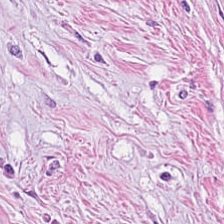Tumor-associated stroma.
